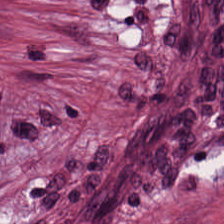Hematoxylin and eosin. Predominantly cancer-associated stroma.
